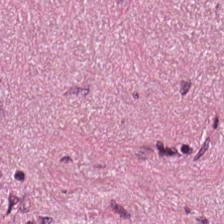Stain: hematoxylin-and-eosin stained section.
Predominant tissue: cancer-associated stroma.
